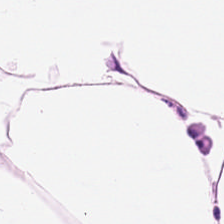Hematoxylin and eosin; 224×224 px tile — {"tissue_type": "adipose"}
